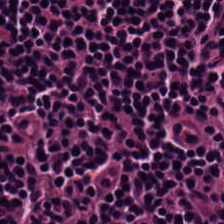Stain: H&E-stained tissue section.
Classification: lymphocytes.
